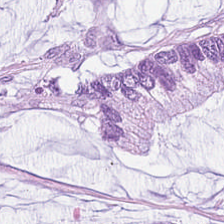Hematoxylin-and-eosin stained section.
Q: Identify the tissue.
A: The field shows extracellular mucin.
